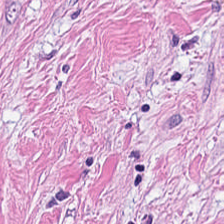H&E stain. FFPE tissue section. 224×224 px tile.
Tissue class — tumor-associated stroma.
